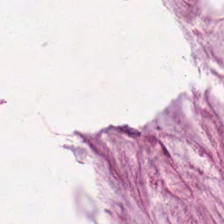Formalin-fixed paraffin-embedded section. H&E-stained tissue section.
Finding — mucin.
